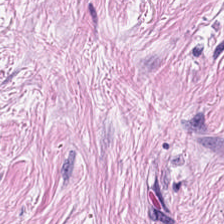Stain: H&E stain.
Predominant tissue: tumor stroma.
